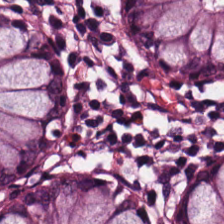0.5 microns per pixel; H&E stain.
Tissue = normal colonic mucosa.
